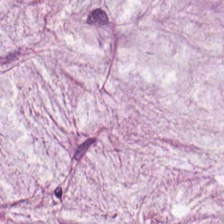Q: What is the predominant tissue type?
A: The field shows mucin.
